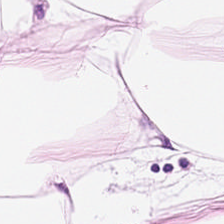224×224 px tile · H&E-stained tissue section — Predominantly adipose tissue.
